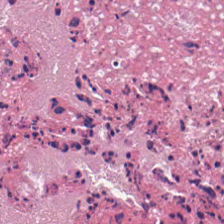Stain: H&E-stained tissue section.
Tissue class: debris.
